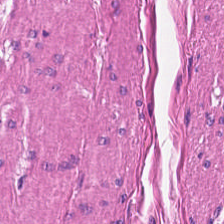Hematoxylin and eosin. Tissue = smooth-muscle tissue.
